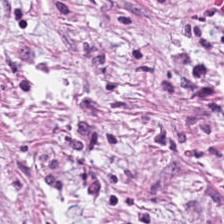Tissue type — cancer-associated stroma.
